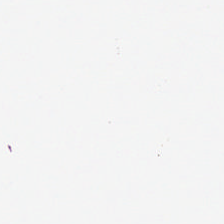Histology — no tissue.
